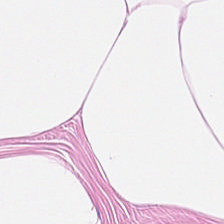Hematoxylin and eosin. This field is fat tissue.
